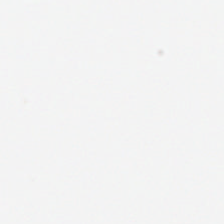Hematoxylin-and-eosin stained section.
Field content = empty background.
